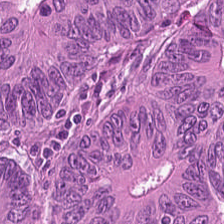Hematoxylin and eosin; formalin-fixed paraffin-embedded section. {"tissue_type": "malignant epithelium"}
